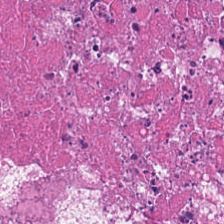Stain: hematoxylin and eosin.
Preparation: formalin-fixed paraffin-embedded section.
Tissue: cellular debris.
